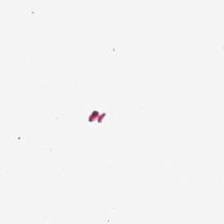Stain: H&E stain.
Tile size: 224×224 px tile.
Acquisition: WSI patch.
Field content: background (no tissue).
